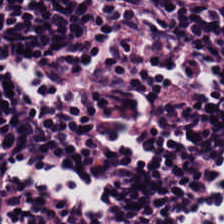Hematoxylin and eosin — The predominant tissue is lymphocytes.
